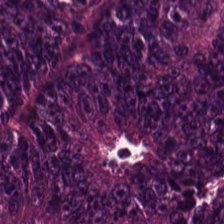H&E · 0.5 microns per pixel · brightfield microscopy.
Q: Identify the tissue.
A: This is adenocarcinoma.
